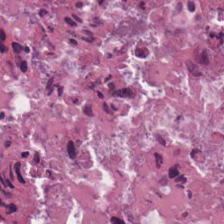0.5 µm per pixel · 224×224 pixel tile · hematoxylin and eosin — Cellular debris.
